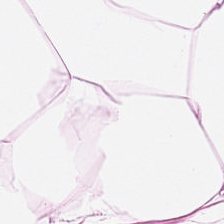Q: What type of tissue is this?
A: Adipose.
